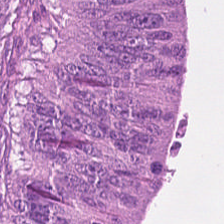WSI patch · hematoxylin and eosin · 224×224 pixel tile.
The tissue here is colorectal adenocarcinoma epithelium.
